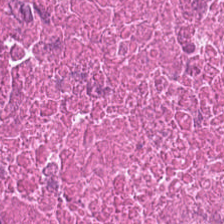Brightfield microscopy · hematoxylin and eosin.
Tissue: debris.
